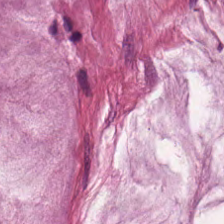Brightfield; H&E-stained tissue section; 224×224 px patch.
Classification: mucin.
